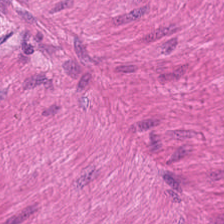H&E stain. Impression — muscularis.
